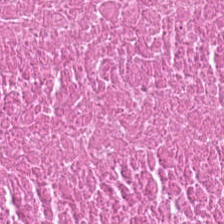0.5 microns per pixel. H&E. Tissue class = cellular debris.
